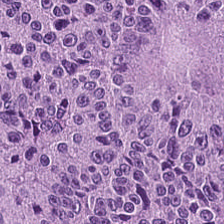Histology — malignant epithelium.
